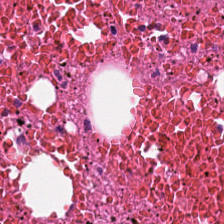Hematoxylin-and-eosin stained section. Classification — necrotic debris.
